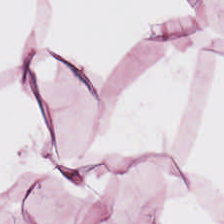Tissue class: adipose tissue.
